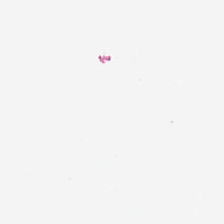H&E stain. Impression — background (no tissue).
